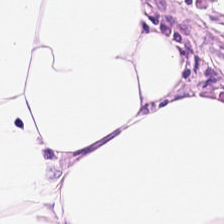H&E stain.
{"tissue_type": "adipocytes"}
